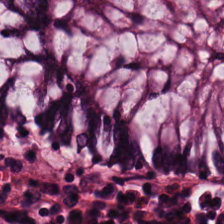Hematoxylin and eosin · 20× equivalent magnification — This patch shows non-neoplastic colon mucosa.
